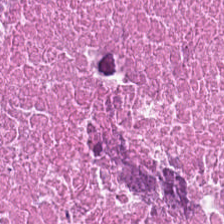Q: What tissue type is shown here?
A: The field shows debris.
